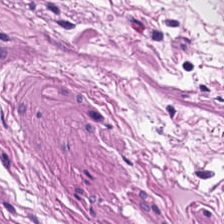Stain: hematoxylin and eosin.
Tissue type: smooth muscle.
